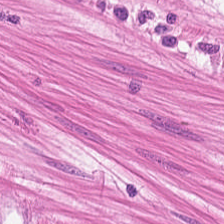Q: Classify this patch.
A: The field shows smooth muscle.
